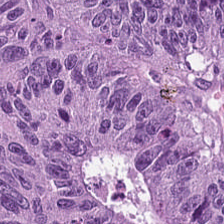FFPE tissue section. Hematoxylin and eosin — The predominant tissue is colorectal adenocarcinoma epithelium.
